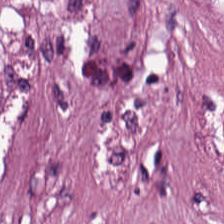Stain: hematoxylin-and-eosin stained section.
Classification: tumor stroma.
